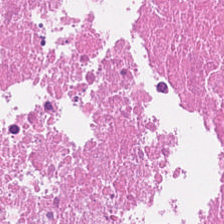H&E stain. Impression → necrotic debris.
